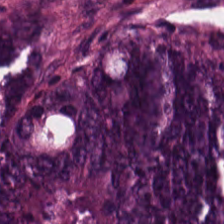H&E-stained tissue section. The tissue here is tumor epithelium.
